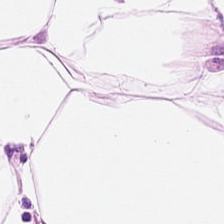FFPE tissue section. H&E-stained tissue section.
Fat tissue.
